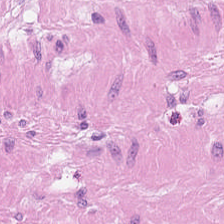Stain: hematoxylin-and-eosin stained section.
Tile size: 224×224 pixel tile.
Resolution: 0.5 µm per pixel.
Classification: smooth muscle.
